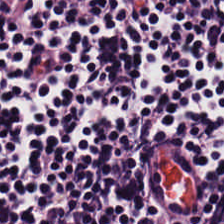Hematoxylin and eosin — Tissue class: lymphocytes.
